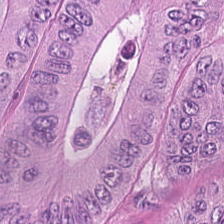H&E stain · 0.5 microns per pixel.
Classification = adenocarcinoma.
